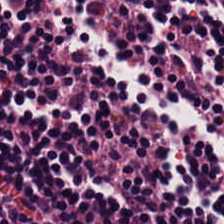H&E; FFPE tissue section.
The tissue here is lymphocytes.
